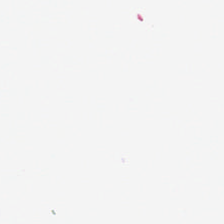Hematoxylin and eosin.
The content is empty background.
